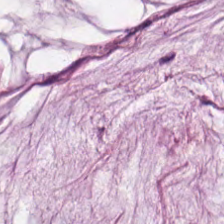Tissue: extracellular mucin.
